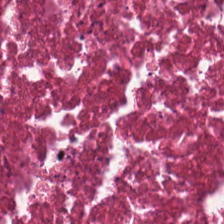Hematoxylin-and-eosin stained section. Q: What tissue is shown?
A: Debris.
